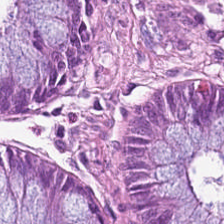FFPE tissue section. H&E stain.
The predominant tissue is normal colon mucosa.
